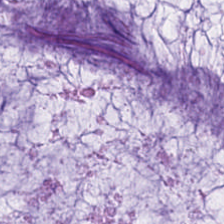Hematoxylin-and-eosin stained section. 0.5 µm per pixel.
Classification — mucus.
